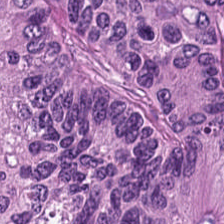0.5 microns per pixel. Hematoxylin-and-eosin stained section.
Q: What is the predominant tissue type?
A: This is adenocarcinoma.
